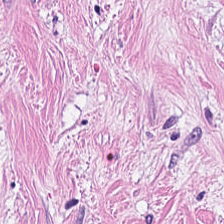Stain: H&E-stained tissue section.
Tissue type: tumor-associated stroma.
